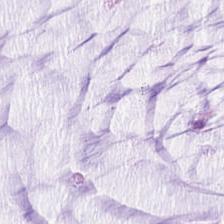H&E — mucin.
